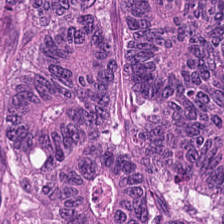H&E stain; FFPE tissue section. Tissue = tumor epithelium.
